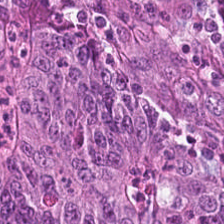Hematoxylin and eosin.
Predominant tissue — colorectal adenocarcinoma epithelium.
